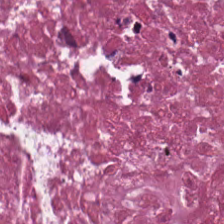Whole-slide-image patch; H&E-stained tissue section; FFPE tissue section. This field is cellular debris.
